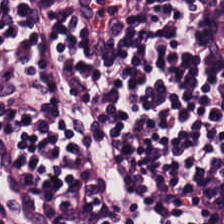WSI patch. H&E-stained tissue section.
This field is lymphocytes.
